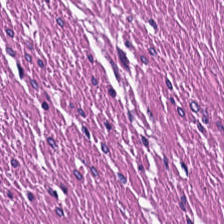0.5 µm per pixel; hematoxylin and eosin — The classification is smooth muscle.
